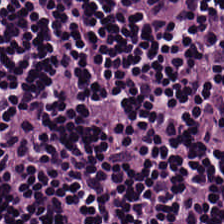Stain: H&E stain.
Tissue class: lymphocyte aggregate.
